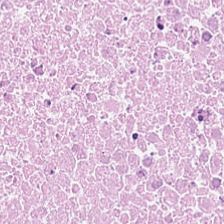H&E-stained tissue section. Necrotic debris.
